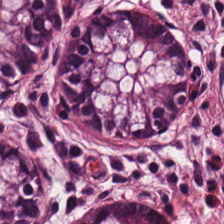Stain: hematoxylin and eosin.
Tissue class: normal colon mucosa.
